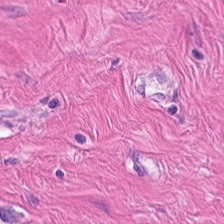H&E stain — Tissue: smooth muscle.
